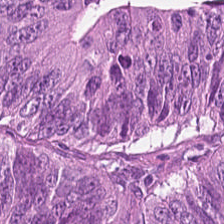Showing adenocarcinoma.
